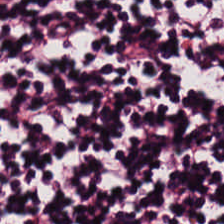H&E-stained tissue section. The tissue here is lymphoid infiltrate.
